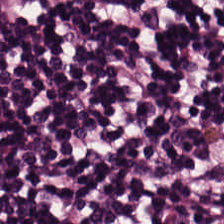Formalin-fixed paraffin-embedded section · H&E · 0.5 microns per pixel.
Impression → lymphocytes.
